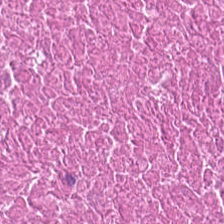H&E · 0.5 µm per pixel · 224×224 pixel tile.
Predominant tissue — debris.
